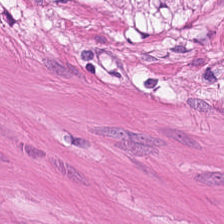Stain: H&E stain.
Tissue class: smooth-muscle tissue.
